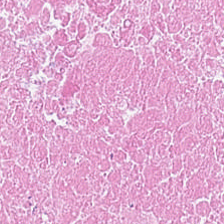H&E stain. Q: What type of tissue is this?
A: This is debris.
